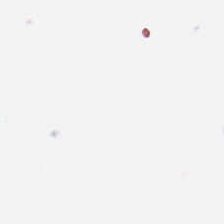H&E-stained tissue section. Brightfield. FFPE tissue section — {"content": "empty background"}
